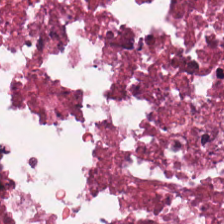The classification is necrotic debris.
